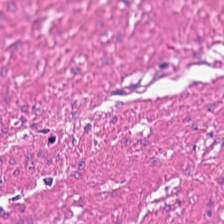H&E-stained tissue section. Q: What does this patch show?
A: The field shows smooth muscle.
